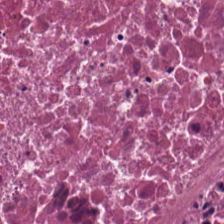Hematoxylin-and-eosin stained section — Predominant tissue — cellular debris.
